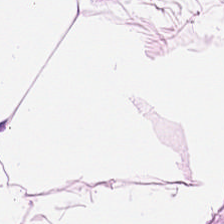Hematoxylin-and-eosin stained section — Q: Identify the tissue.
A: Fat tissue.
